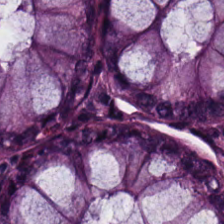Stain: hematoxylin-and-eosin stained section.
Preparation: FFPE.
Tile size: 224×224 pixel tile.
Predominant tissue: non-neoplastic colon mucosa.
